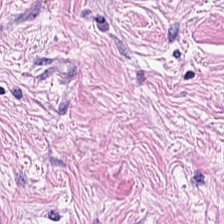20× equivalent magnification; hematoxylin-and-eosin stained section — The predominant tissue is desmoplastic stroma.
